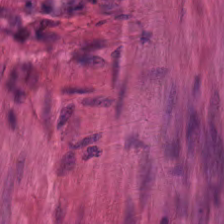Impression → smooth muscle.
